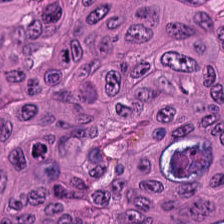The classification is adenocarcinoma.
